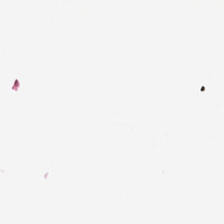H&E stain — The field content is no tissue.
